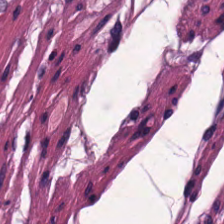Stain: H&E.
Resolution: 20× equivalent magnification.
Classification: smooth muscle.
